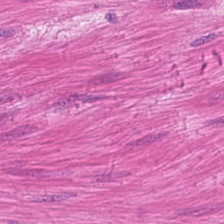224×224 px patch. Hematoxylin and eosin — Showing muscularis.
